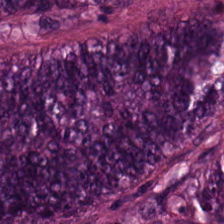Tissue type = tumor epithelium.
